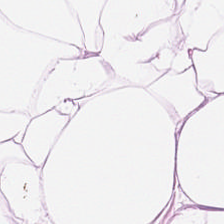Hematoxylin-and-eosin stained section. Impression → adipose.
